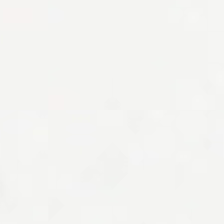20× equivalent magnification · hematoxylin-and-eosin stained section · whole-slide-image patch.
Histology — no tissue.
